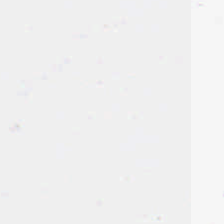Hematoxylin-and-eosin stained section — Q: Classify this patch.
A: Background (no tissue).
